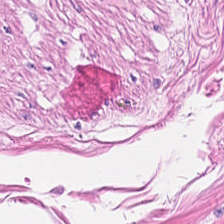Stain: hematoxylin-and-eosin stained section.
Tissue class: smooth muscle.
